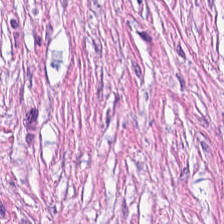H&E stain. Q: What tissue type is shown here?
A: Desmoplastic stroma.
